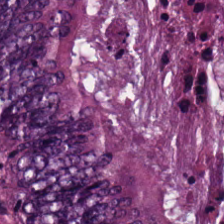Histology → tumor epithelium.
